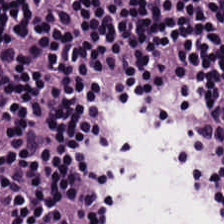Stain: H&E stain.
Tile size: 224×224 px patch.
Predominant tissue: lymphocytes.
